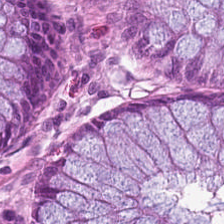0.5 µm/px · brightfield · H&E stain. Impression — benign colonic mucosa.
